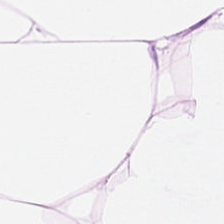Predominant tissue = fat tissue.
